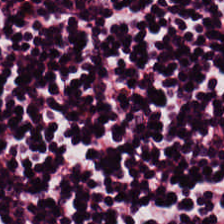Q: What does this patch show?
A: Lymphocyte aggregate.
